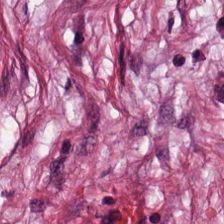Formalin-fixed paraffin-embedded section · brightfield · hematoxylin and eosin. Histology — desmoplastic stroma.
